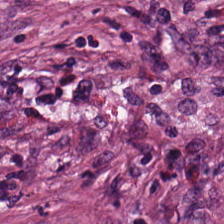224×224 px patch. H&E stain. Brightfield microscopy. This patch shows tumor-associated stroma.
